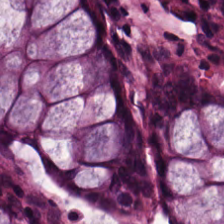Hematoxylin-and-eosin stained section — Tissue type: non-neoplastic colon mucosa.
